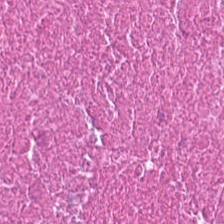Hematoxylin-and-eosin stained section — Predominant tissue — cellular debris.
